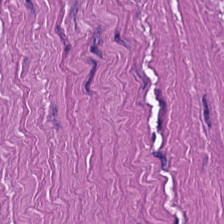H&E. This field is smooth-muscle tissue.
